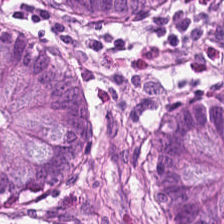H&E stain. Histology — normal colonic mucosa.
